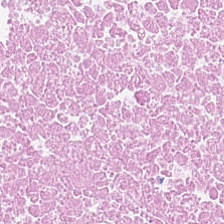Impression — debris.
